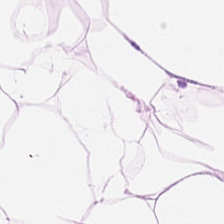224×224 px patch; FFPE; H&E.
This patch shows adipose.
